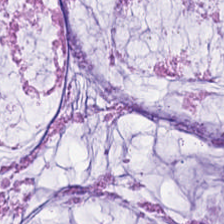FFPE. Hematoxylin-and-eosin stained section. Tissue: extracellular mucin.
